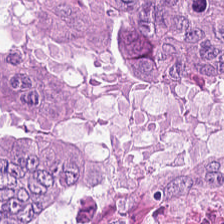H&E stain. The tissue type is adenocarcinoma.
